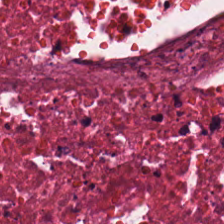H&E-stained tissue section; whole-slide-image patch — Necrotic debris.
